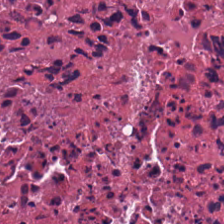H&E. The tissue here is cellular debris.
